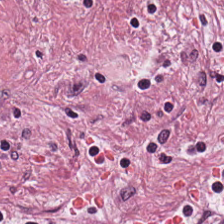WSI patch · H&E-stained tissue section · 20× equivalent magnification — This field is tumor-associated stroma.
